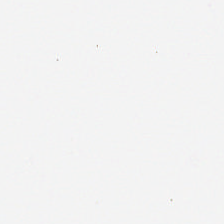Formalin-fixed paraffin-embedded section · whole-slide-image patch · hematoxylin-and-eosin stained section. This patch shows no tissue.
